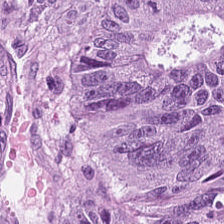H&E — Colorectal adenocarcinoma.
